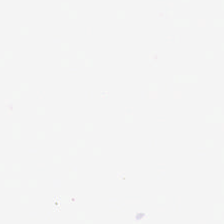Hematoxylin-and-eosin stained section.
Field content: background (no tissue).
